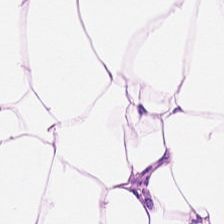H&E.
{"tissue_type": "adipocytes"}
